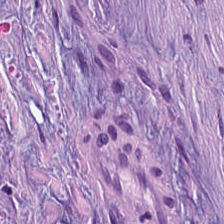H&E-stained section; the field shows desmoplastic stroma.
